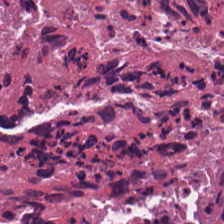H&E stain.
This field is cellular debris.
